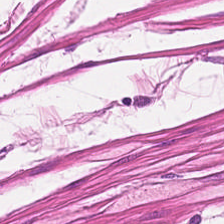H&E stain; FFPE tissue section.
Q: What is the predominant tissue type?
A: Smooth muscle.
